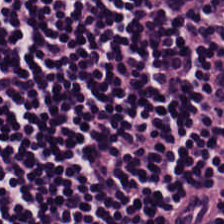H&E stain. Whole-slide-image patch. Tissue — lymphoid infiltrate.
